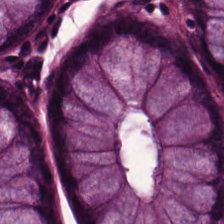0.5 microns per pixel · 224×224 pixel tile · hematoxylin and eosin — This patch shows normal colonic mucosa.
